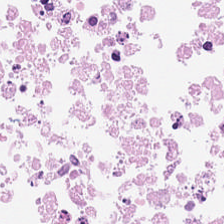H&E-stained tissue section · WSI patch. Q: What type of tissue is this?
A: This is debris.
